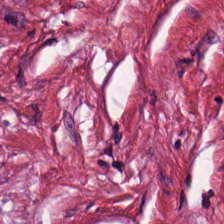Hematoxylin and eosin. Tissue type = tumor stroma.
